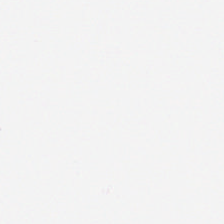H&E-stained tissue section. Q: Classify this patch.
A: It is background (no tissue).
